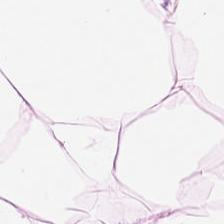WSI patch · hematoxylin-and-eosin stained section — This patch shows adipose.
